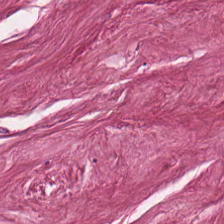Stain: H&E stain.
Acquisition: brightfield microscopy.
Tissue class: tumor stroma.
